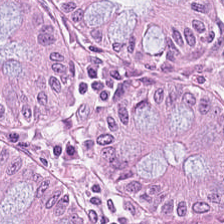Classification — benign colonic mucosa.
